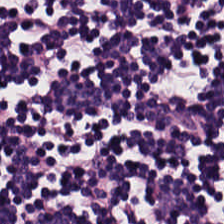0.5 µm per pixel. Hematoxylin-and-eosin stained section. This patch shows lymphocytes.
